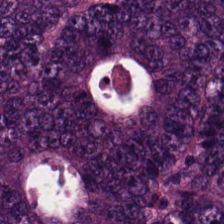Adenocarcinoma.
